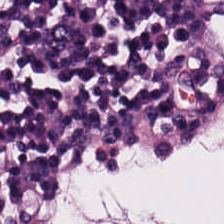20× equivalent magnification; FFPE tissue section; H&E. Showing lymphocyte aggregate.
